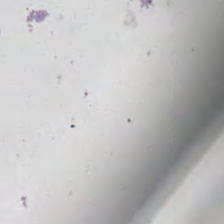Hematoxylin and eosin.
Q: What does this patch show?
A: It is no tissue.
